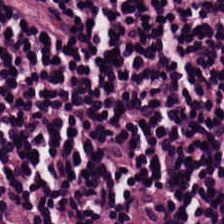Formalin-fixed paraffin-embedded section. 224×224 px patch. Hematoxylin-and-eosin stained section. The predominant tissue is lymphocytic infiltrate.
